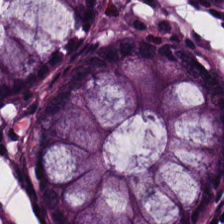Predominantly normal colonic mucosa.
